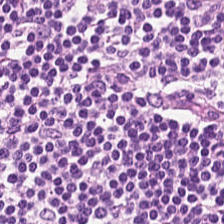Stain: hematoxylin and eosin.
Tissue type: lymphocytes.
